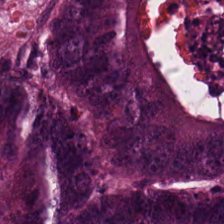H&E. The predominant tissue is malignant epithelium.
